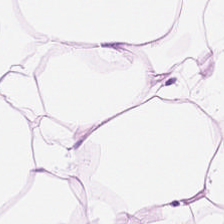Stain: H&E stain.
Tissue type: fat tissue.
